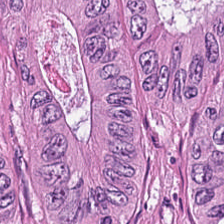H&E-stained tissue section. This field is tumor epithelium.
